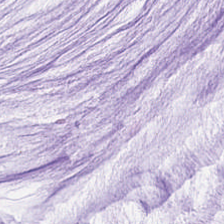H&E-stained tissue section. Showing mucin.
